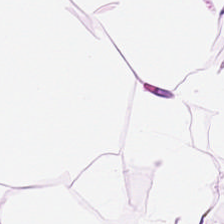Stain: H&E stain.
Preparation: FFPE.
Tile size: 224×224 px tile.
Tissue class: fat tissue.
